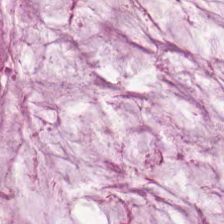Hematoxylin-and-eosin stained section. Tissue = mucus.
